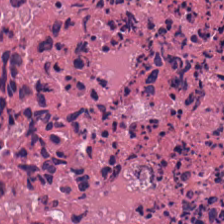Hematoxylin-and-eosin stained section · 224×224 px tile · 0.5 µm per pixel. The tissue here is debris.
